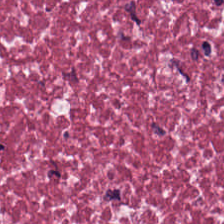H&E stain — Classification — tumor-associated stroma.
